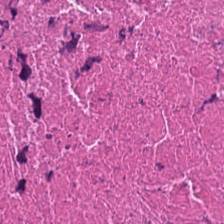H&E. Necrotic debris.
